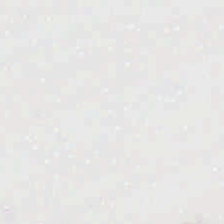Q: What is shown in this field?
A: The field shows background (no tissue).
